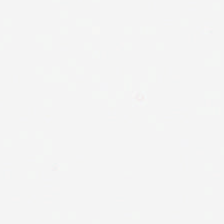Background — no tissue in this field.
